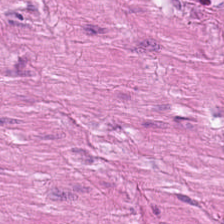H&E. Predominantly smooth muscle.
